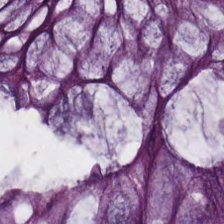H&E.
Normal colonic mucosa.
